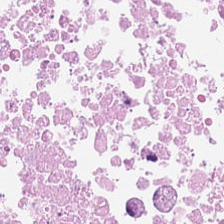This field is debris.
